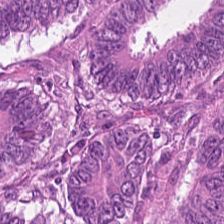Stain: hematoxylin-and-eosin stained section.
Tissue: tumor epithelium.
